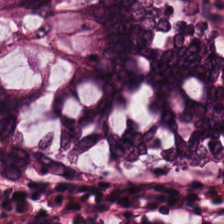Hematoxylin and eosin — Classification: benign colonic mucosa.
